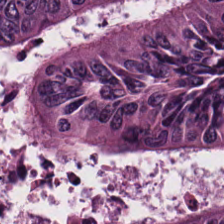Predominantly tumor epithelium.
